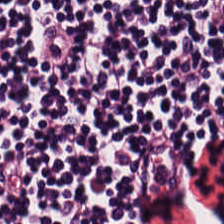The classification is lymphoid infiltrate.
